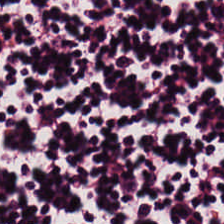Predominantly lymphocytic infiltrate.
